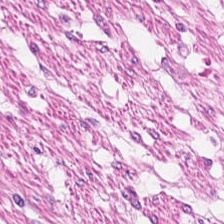Finding → smooth muscle.
